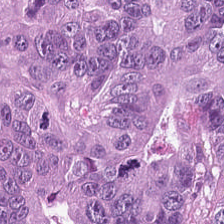Stain: hematoxylin-and-eosin stained section.
Tissue class: adenocarcinoma.
